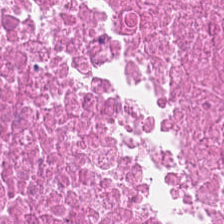0.5 µm/px · H&E stain.
{"tissue_type": "debris"}
